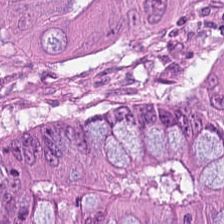Q: What is shown in this field?
A: The field shows colorectal adenocarcinoma.
